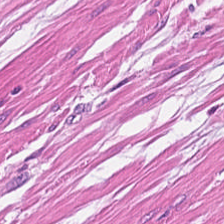Brightfield microscopy; H&E; 0.5 µm per pixel. The predominant tissue is muscularis.
